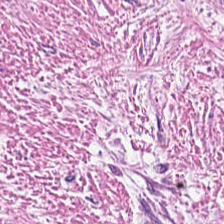FFPE · 224×224 px tile · H&E.
This field is tumor-associated stroma.
